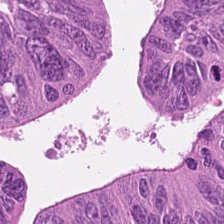H&E.
Tissue type = tumor epithelium.
